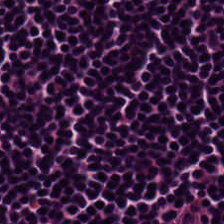Hematoxylin-and-eosin stained section · FFPE — Tissue type — lymphocyte aggregate.
